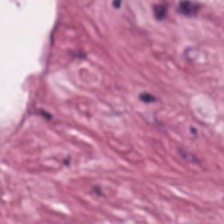Stain: hematoxylin and eosin.
Tissue class: tumor-associated stroma.
